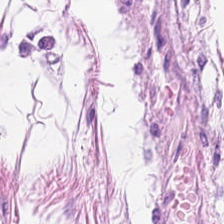20× equivalent magnification · FFPE tissue section · H&E-stained tissue section.
Adipose.
